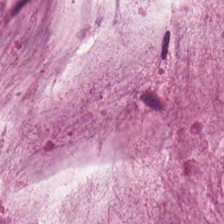Histology → mucin.
